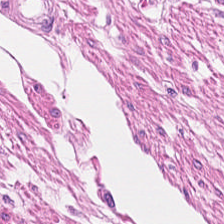Hematoxylin and eosin · 224×224 px patch.
Histology — smooth muscle.
